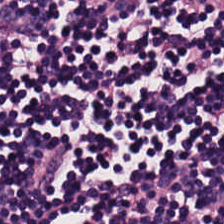H&E-stained tissue section — Q: What does this patch show?
A: It is lymphoid infiltrate.
